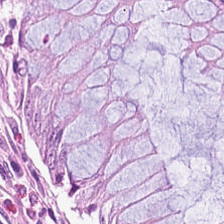Hematoxylin-and-eosin stained section. Impression — non-neoplastic colon mucosa.
